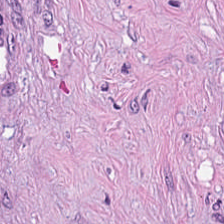Hematoxylin and eosin.
Tissue class — tumor stroma.
